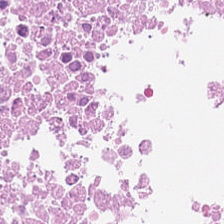Hematoxylin-and-eosin stained section.
Finding — cellular debris.
